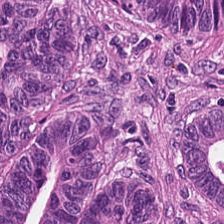Whole-slide-image patch · H&E. Q: What tissue type is shown here?
A: Colorectal adenocarcinoma.
